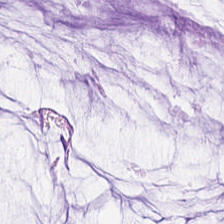H&E-stained tissue section. Finding → mucin.
